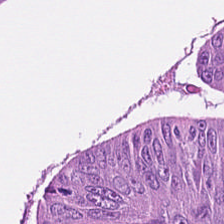Classification — tumor epithelium.
